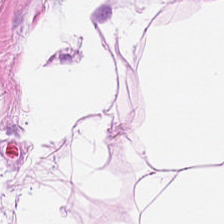H&E stain — Tissue class — adipose.
